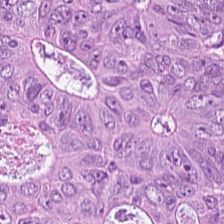Brightfield. H&E. 224×224 px tile.
Q: What does this patch show?
A: This is malignant epithelium.
